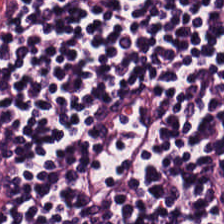Whole-slide-image patch. H&E stain.
Q: What does this patch show?
A: It is lymphocyte aggregate.
